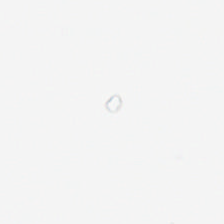Hematoxylin and eosin · whole-slide-image patch. Content — background.
